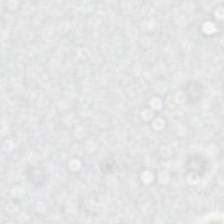H&E stain. Content: no tissue.
